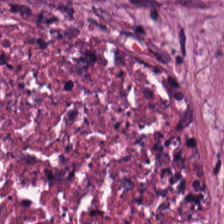Stain: hematoxylin-and-eosin stained section.
Preparation: FFPE tissue section.
Tissue class: cellular debris.
